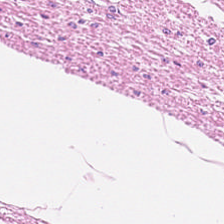H&E — smooth-muscle tissue.
